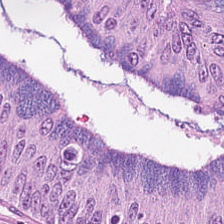Histology — tumor epithelium.
